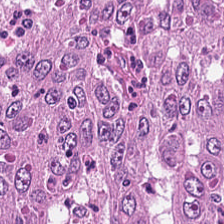H&E-stained tissue section showing malignant epithelium.
